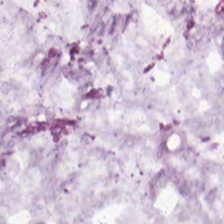Formalin-fixed paraffin-embedded section; H&E; WSI patch.
The tissue type is mucus.
